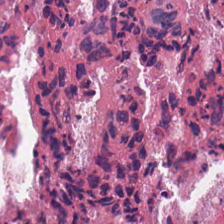224×224 px patch · 0.5 µm per pixel · H&E stain.
This patch shows cellular debris.
